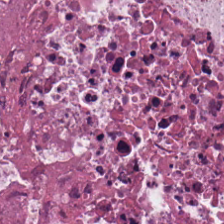224×224 px tile; H&E stain; FFPE tissue section. The classification is necrotic debris.
